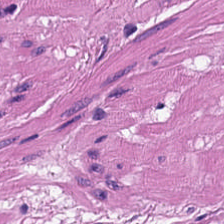Stain: hematoxylin and eosin.
Preparation: FFPE.
Tissue class: muscularis.
